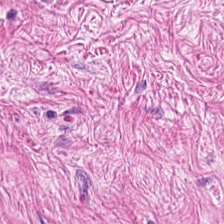Stain: H&E-stained tissue section.
Tissue: muscularis.
